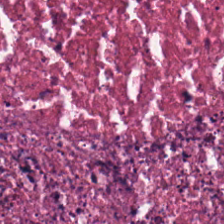Hematoxylin and eosin. 224×224 px patch. Formalin-fixed paraffin-embedded section. This field is debris.
